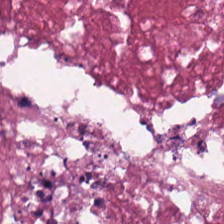WSI patch; hematoxylin and eosin — Tissue type = cellular debris.
